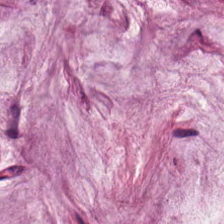H&E — extracellular mucin.
